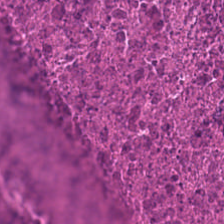H&E stain.
Q: What type of tissue is this?
A: It is necrotic debris.
